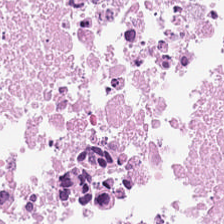Finding → necrotic debris.
